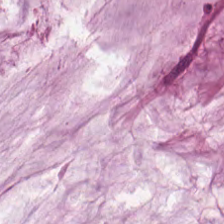Tissue type = mucus.
